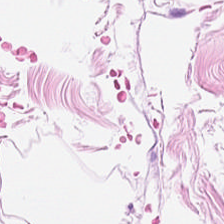Hematoxylin and eosin — Showing fat tissue.
